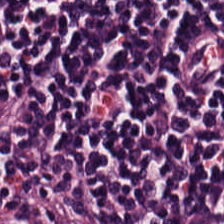H&E-stained tissue section.
Tissue = lymphocytes.
